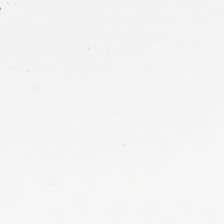Stain: H&E stain.
Classification: background (no tissue).
